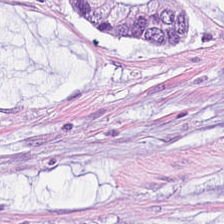Hematoxylin-and-eosin stained section; whole-slide-image patch. Q: What type of tissue is this?
A: It is mucin.
